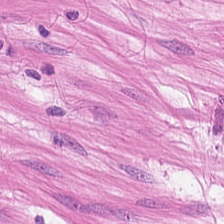H&E-stained tissue section. 0.5 microns per pixel — Smooth-muscle tissue.
